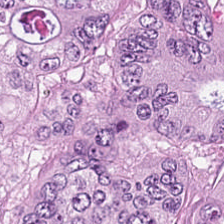Stain: hematoxylin and eosin.
Tissue type: tumor epithelium.
